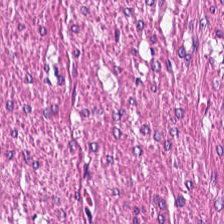H&E. The tissue is smooth muscle.
